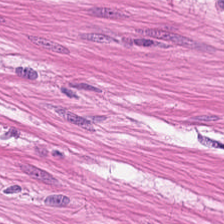Hematoxylin-and-eosin stained section.
Showing muscularis.
